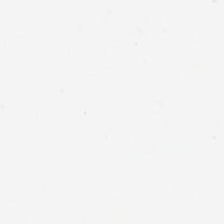H&E-stained tissue section. Q: What does this patch show?
A: Background (no tissue).
